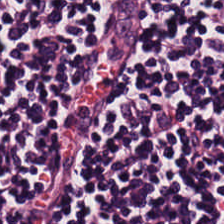H&E. Predominantly lymphocytes.
